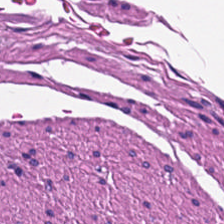H&E-stained section; the field shows smooth-muscle tissue.
